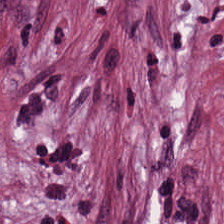Q: What does this patch show?
A: The field shows cancer-associated stroma.
